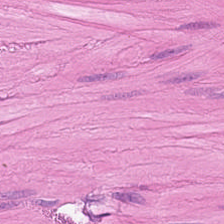Predominantly smooth-muscle tissue.
